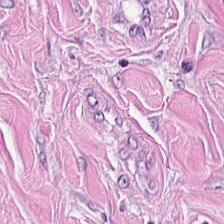224×224 px patch · WSI patch · H&E-stained tissue section.
This field is desmoplastic stroma.
